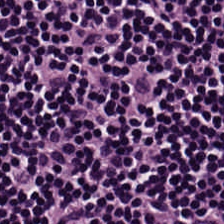Hematoxylin and eosin — Tissue type = lymphoid infiltrate.
